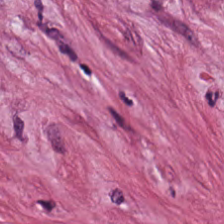H&E-stained tissue section · FFPE tissue section — Tissue — cancer-associated stroma.
